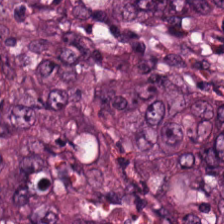Predominantly adenocarcinoma.
